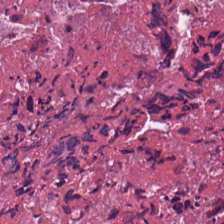H&E stain. Q: Classify this patch.
A: Necrotic debris.
